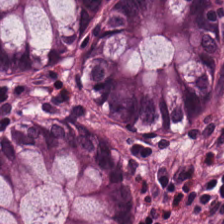H&E-stained tissue section. Benign colonic mucosa.
